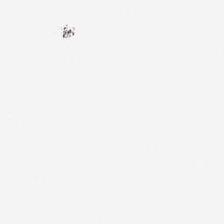H&E stain — This patch shows no tissue.
